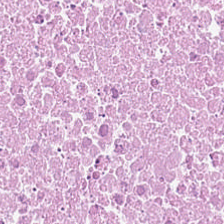Hematoxylin-and-eosin stained section. Q: What is shown in this field?
A: The field shows debris.
